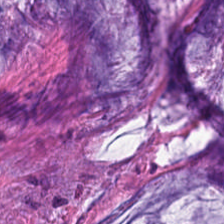0.5 µm per pixel · H&E-stained tissue section. Q: What is shown here?
A: The field shows mucus.
